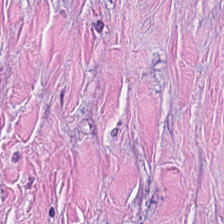Stain: hematoxylin-and-eosin stained section.
Tissue class: tumor-associated stroma.
